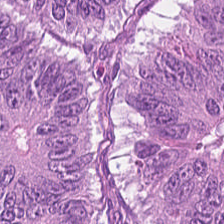H&E — colorectal adenocarcinoma epithelium.
